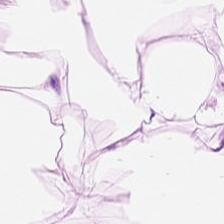Q: Classify this patch.
A: It is adipose.
